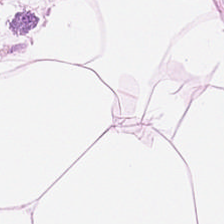FFPE. H&E-stained tissue section. Fat tissue.
